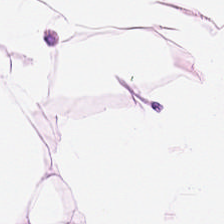Hematoxylin and eosin — Histology → fat tissue.
